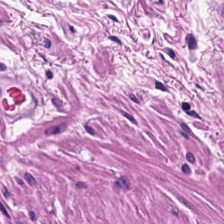WSI patch · hematoxylin-and-eosin stained section — Predominantly muscularis.
